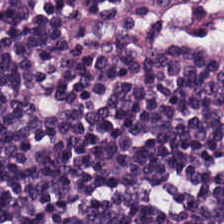Histology — lymphocytes.
